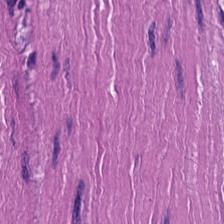H&E — Smooth muscle.
